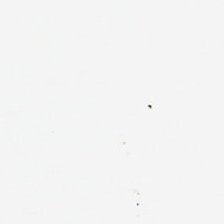H&E.
No tissue present; background only.
